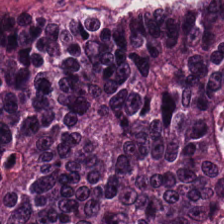H&E stain — Malignant epithelium.
